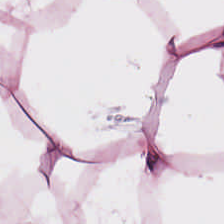Fat tissue.
